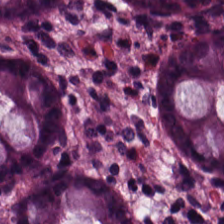224×224 pixel tile. H&E.
Q: What is shown here?
A: Normal colon mucosa.
